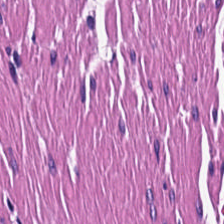H&E.
The predominant tissue is smooth muscle.
